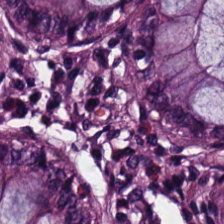H&E — Predominantly benign colonic mucosa.
